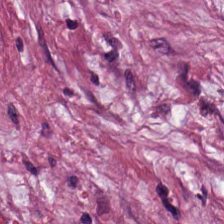0.5 µm per pixel · hematoxylin-and-eosin stained section. Showing desmoplastic stroma.
